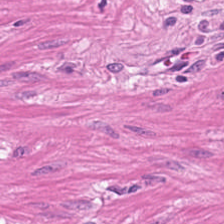FFPE tissue section. H&E-stained tissue section. 224×224 pixel tile — The tissue class is smooth muscle.
